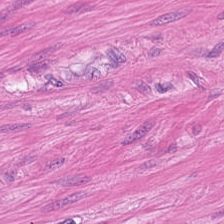The tissue class is muscularis.
